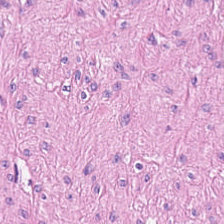H&E patch showing muscularis.
